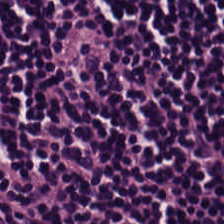Tissue class: lymphocytes.
